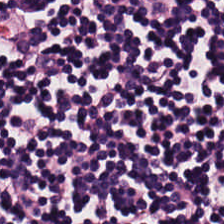H&E patch showing lymphoid infiltrate.
